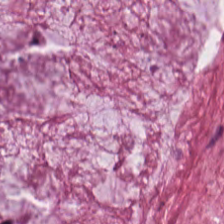H&E · formalin-fixed paraffin-embedded section. Q: What is shown in this field?
A: This is extracellular mucin.
